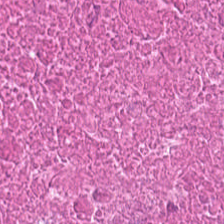FFPE · hematoxylin and eosin.
Classification — necrotic debris.
